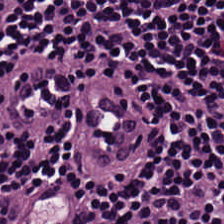Hematoxylin and eosin. 0.5 µm per pixel. 224×224 px tile. Lymphocyte aggregate.
